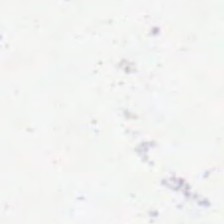H&E. 224×224 px patch. 0.5 µm/px — Empty field — background.
